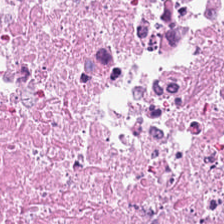The predominant tissue is debris.
